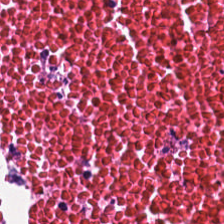Hematoxylin and eosin.
Tissue = necrotic debris.
